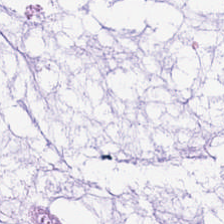Stain: H&E-stained tissue section.
Preparation: FFPE tissue section.
Resolution: 0.5 µm/px.
Classification: extracellular mucin.
